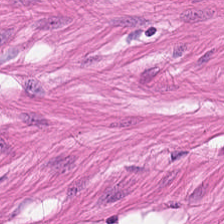H&E-stained tissue section. 224×224 pixel tile.
{"tissue_type": "muscularis"}
